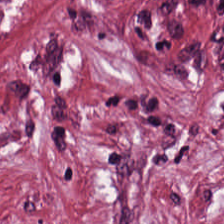H&E stain; 224×224 px tile — This patch shows tumor-associated stroma.
